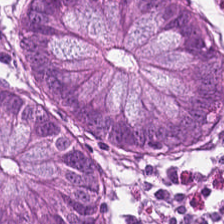Classification = normal colon mucosa.
